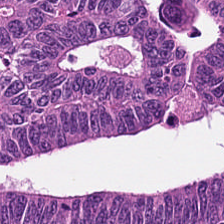The predominant tissue is adenocarcinoma.
